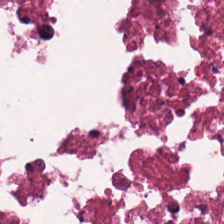Predominantly debris.
